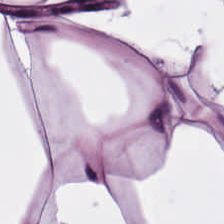20× equivalent magnification. H&E.
This patch shows adipose.
